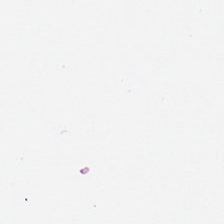This field is background (no tissue).
